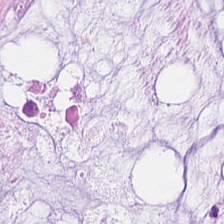H&E.
This patch shows mucus.
